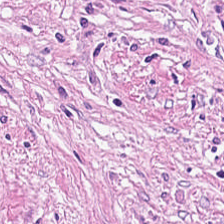Hematoxylin and eosin; brightfield.
Finding → tumor stroma.
